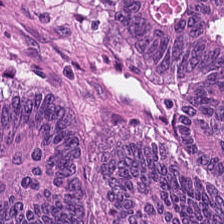H&E patch showing tumor epithelium.
